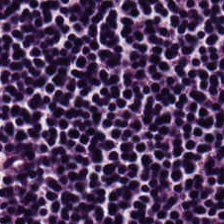Formalin-fixed paraffin-embedded section · H&E — This field is lymphocytes.
